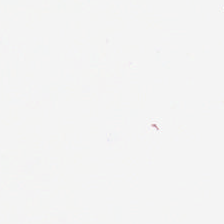Content: background.
